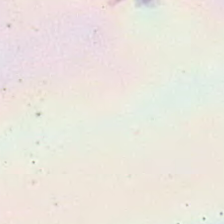Content — empty background.
